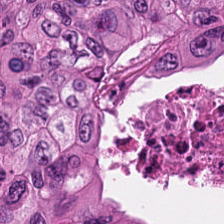Hematoxylin-and-eosin stained section. Formalin-fixed paraffin-embedded section. {"tissue_type": "adenocarcinoma"}
